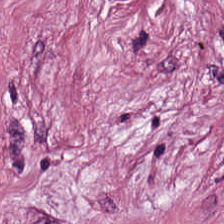H&E-stained tissue section. 0.5 µm per pixel.
Histology — tumor-associated stroma.
